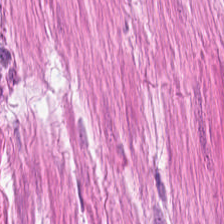Q: Identify the tissue.
A: Muscularis.
